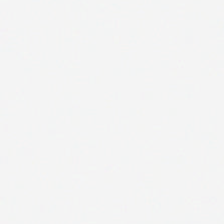Hematoxylin and eosin — This patch shows empty background.
